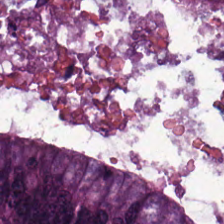Classification — tumor epithelium.
